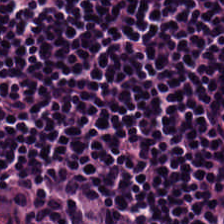H&E-stained tissue section. Q: Identify the tissue.
A: Lymphocytes.
